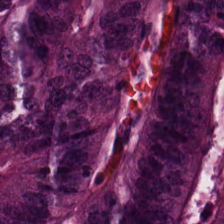H&E.
{"tissue_type": "colorectal adenocarcinoma epithelium"}
